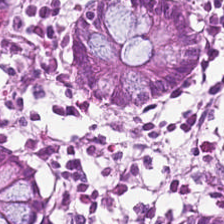0.5 µm/px. H&E — The tissue here is normal colonic mucosa.
